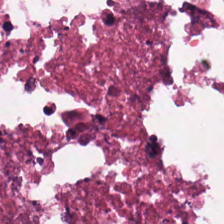Debris.
